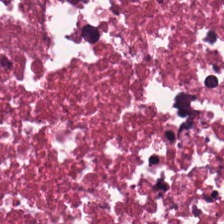Hematoxylin-and-eosin stained section. Tissue — necrotic debris.
